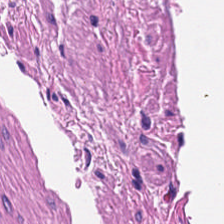H&E stain. FFPE tissue section. Brightfield. The predominant tissue is smooth muscle.
